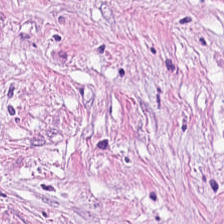0.5 microns per pixel. Hematoxylin and eosin. This patch shows tumor-associated stroma.
